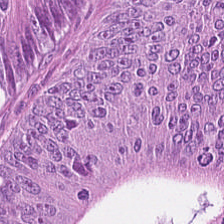224×224 px patch. Hematoxylin and eosin — Classification = adenocarcinoma.
